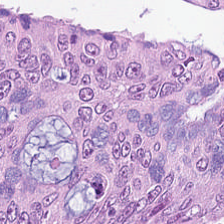FFPE. H&E-stained tissue section.
Adenocarcinoma.
